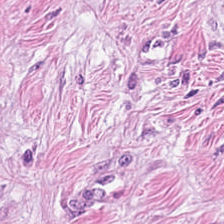H&E stain. The predominant tissue is tumor-associated stroma.
